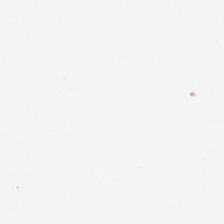Hematoxylin-and-eosin stained section. Empty field — empty background.
